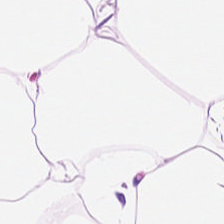FFPE. H&E.
Q: What does this patch show?
A: The field shows adipose.
